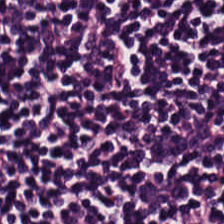Tissue type = lymphocytes.
